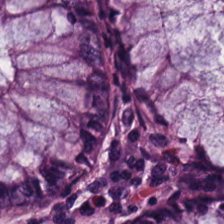Stain: hematoxylin and eosin.
Tissue: non-neoplastic colon mucosa.
